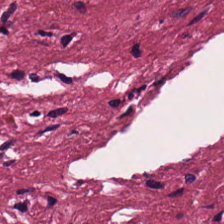Hematoxylin and eosin · 224×224 px tile. Showing tumor stroma.
